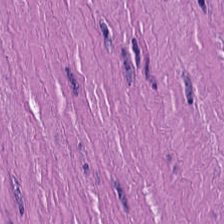H&E-stained tissue section. 0.5 µm per pixel — The predominant tissue is smooth muscle.
